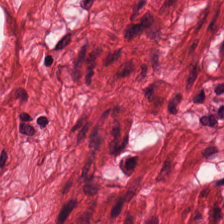Stain: H&E.
Acquisition: whole-slide-image patch.
Predominant tissue: smooth-muscle tissue.
